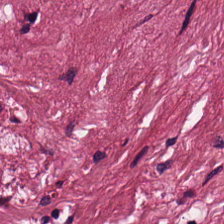FFPE tissue section; brightfield; H&E-stained tissue section. The tissue class is tumor-associated stroma.
